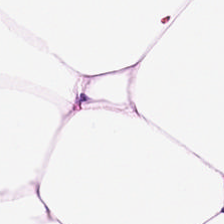H&E stain · 224×224 px patch · formalin-fixed paraffin-embedded section — The tissue here is adipose.
